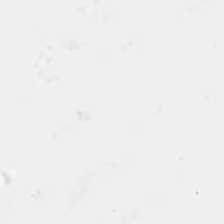H&E-stained tissue section. Histology — background.
